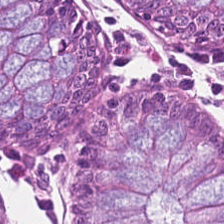Stain: H&E stain.
Tile size: 224×224 px tile.
Tissue type: normal colon mucosa.
